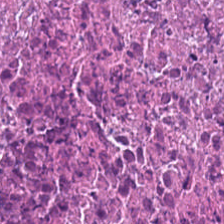H&E · 224×224 px patch · brightfield.
Debris.
